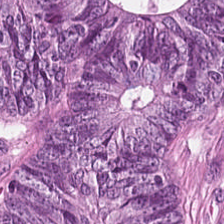H&E stain · 0.5 microns per pixel. Tissue class = colorectal adenocarcinoma epithelium.
